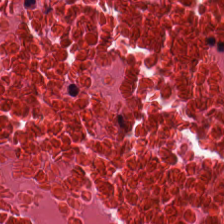Hematoxylin-and-eosin stained section. 224×224 px patch.
Q: What is the predominant tissue type?
A: It is necrotic debris.
